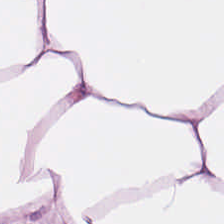Hematoxylin and eosin — Tissue type: adipocytes.
